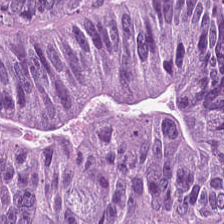H&E stain · brightfield · 224×224 px patch — Showing colorectal adenocarcinoma epithelium.
